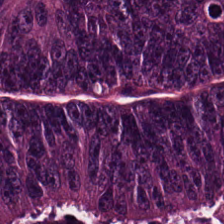Hematoxylin and eosin — Q: Classify this patch.
A: This is malignant epithelium.
